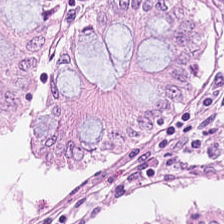H&E-stained tissue section — Showing benign colonic mucosa.
